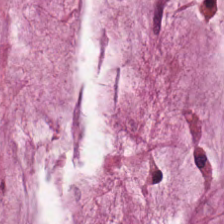H&E.
Q: Identify the tissue.
A: It is mucus.
